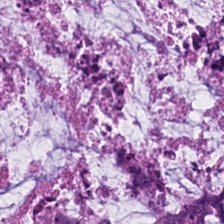Q: Classify this patch.
A: The field shows mucin.
